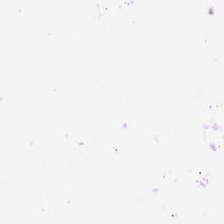224×224 px tile · brightfield microscopy · hematoxylin-and-eosin stained section — This field is background (no tissue).
